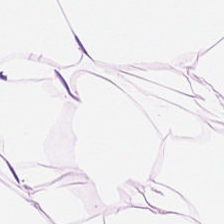FFPE. Hematoxylin and eosin. 0.5 microns per pixel — Q: Classify this patch.
A: It is adipose tissue.
